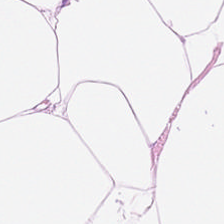H&E; 0.5 µm/px — The tissue here is adipocytes.
